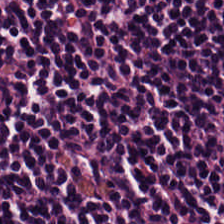Tissue: lymphocyte aggregate.
